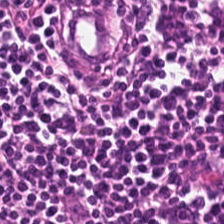Classification — lymphocytic infiltrate.
